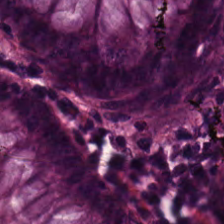Stain: H&E.
Resolution: 0.5 µm per pixel.
Classification: normal colonic mucosa.
